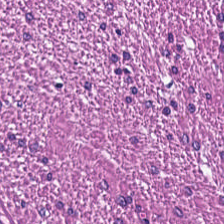Stain: hematoxylin-and-eosin stained section.
Predominant tissue: muscularis.
